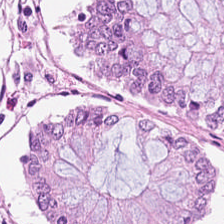H&E. Tissue class: non-neoplastic colon mucosa.
